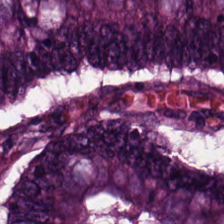Hematoxylin and eosin. 224×224 pixel tile.
{"tissue_type": "malignant epithelium"}
